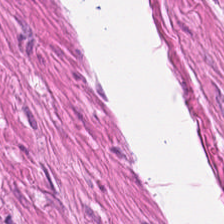H&E · 224×224 px patch.
Predominant tissue: muscularis.
